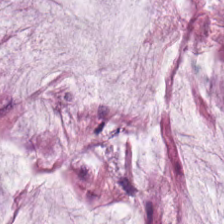Q: What tissue is shown?
A: This is extracellular mucin.
